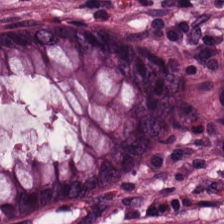Q: What tissue type is shown here?
A: Normal colon mucosa.
